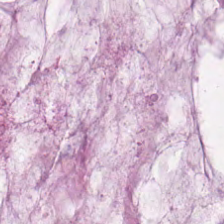Hematoxylin-and-eosin stained section; whole-slide-image patch.
Tissue class: mucus.
